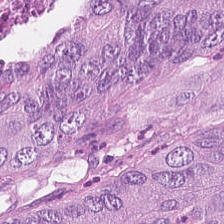H&E. {"tissue_type": "colorectal adenocarcinoma"}
